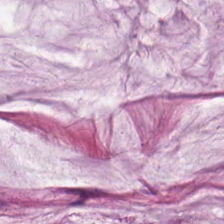H&E-stained section; the field shows mucus.
